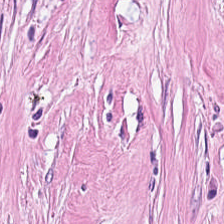H&E stain; WSI patch; 0.5 microns per pixel — Finding → tumor-associated stroma.
